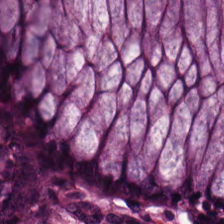H&E-stained tissue section.
Showing normal colonic mucosa.
